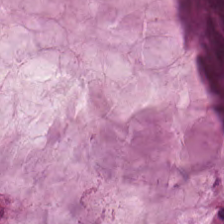Hematoxylin and eosin · formalin-fixed paraffin-embedded section. Tissue — extracellular mucin.
